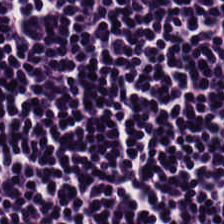20× equivalent magnification; hematoxylin and eosin.
Impression — lymphocytes.
